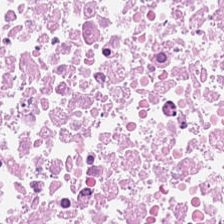Stain: H&E.
Tissue: necrotic debris.
